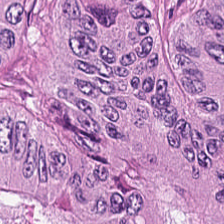Classification — colorectal adenocarcinoma epithelium.
